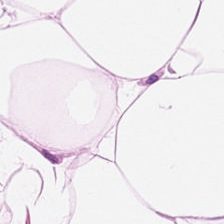This field is adipose.
